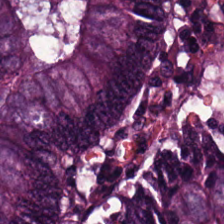H&E stain · 20× equivalent magnification — Colorectal adenocarcinoma.
